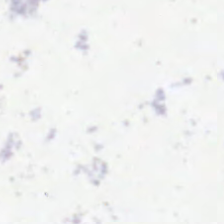Stain: H&E-stained tissue section.
Content: empty background.
